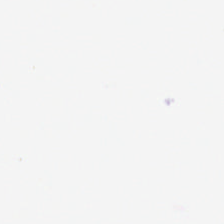Stain: hematoxylin-and-eosin stained section.
Classification: no tissue.
